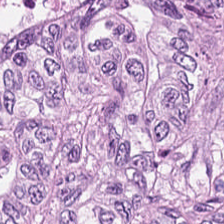Tissue class = tumor epithelium.
